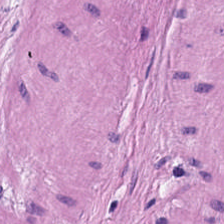H&E stain · 0.5 µm/px · brightfield. The classification is muscularis.
